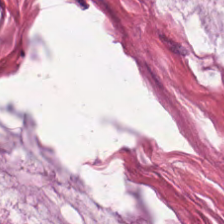H&E patch showing mucus.
